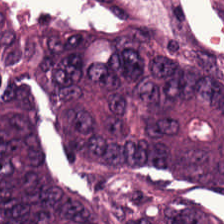This field is adenocarcinoma.
